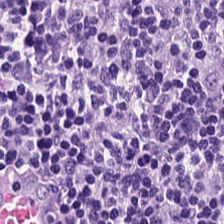Hematoxylin and eosin.
Lymphocytic infiltrate.
